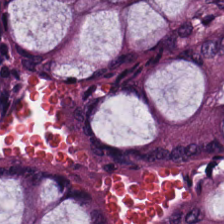Hematoxylin and eosin. Q: What does this patch show?
A: The field shows normal colonic mucosa.
